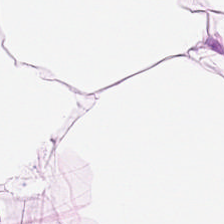WSI patch. H&E — Histology — adipocytes.
